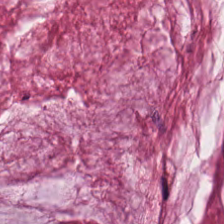Hematoxylin and eosin — {"tissue_type": "extracellular mucin"}
